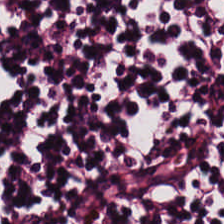H&E stain — Histology → lymphocytes.
